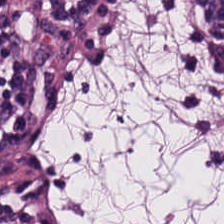Hematoxylin and eosin. Lymphocytic infiltrate.
